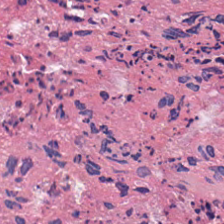Stain: H&E.
Tissue: necrotic debris.
